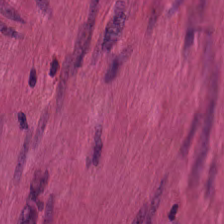H&E stain — The predominant tissue is smooth muscle.
